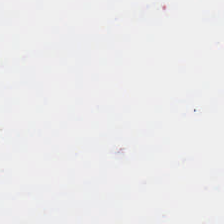Empty field — background (no tissue).
